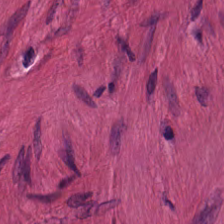Hematoxylin and eosin. Smooth-muscle tissue.
